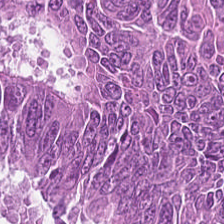Hematoxylin and eosin — Showing colorectal adenocarcinoma.
